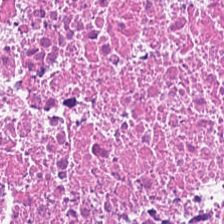224×224 px patch · H&E-stained tissue section — Q: What is shown here?
A: It is debris.
